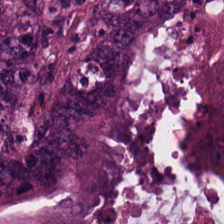Hematoxylin-and-eosin stained section.
{"tissue_type": "colorectal adenocarcinoma"}
